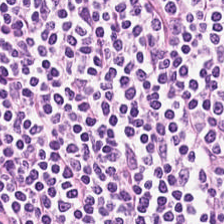Hematoxylin-and-eosin stained section — Histology — lymphoid infiltrate.
